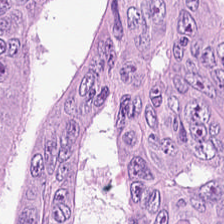Hematoxylin-and-eosin stained section. FFPE tissue section. Finding — malignant epithelium.
